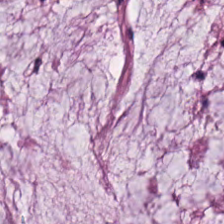WSI patch; FFPE; H&E. Q: What tissue is shown?
A: Mucin.
